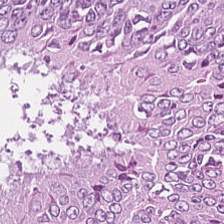Hematoxylin-and-eosin stained section; 224×224 pixel tile; FFPE tissue section.
Q: What tissue type is shown here?
A: The field shows colorectal adenocarcinoma epithelium.
